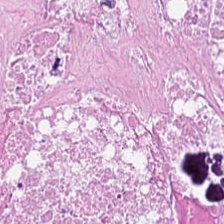Tissue type = debris.
